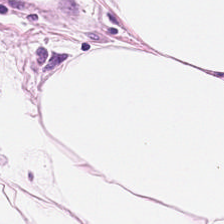Stain: hematoxylin and eosin.
Tissue: adipocytes.
